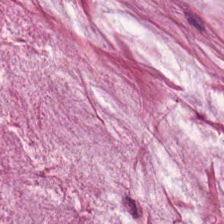Hematoxylin and eosin. Tissue = mucus.
